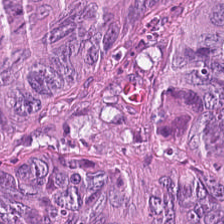Stain: hematoxylin-and-eosin stained section.
Acquisition: brightfield microscopy.
Resolution: 0.5 µm/px.
Tissue type: malignant epithelium.
